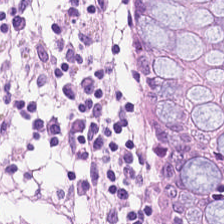Formalin-fixed paraffin-embedded section · H&E stain.
Tissue: normal colonic mucosa.
